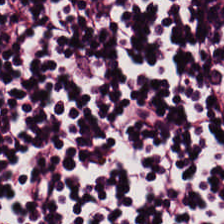The tissue here is lymphoid infiltrate.
